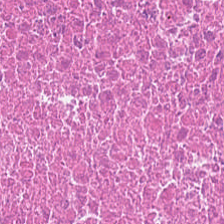Q: What tissue is shown?
A: Cellular debris.
